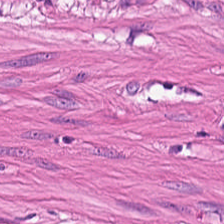Stain: H&E stain.
Resolution: 20× equivalent magnification.
Tissue type: smooth muscle.
